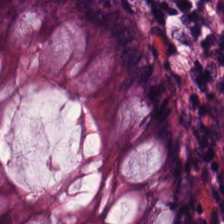Formalin-fixed paraffin-embedded section · H&E-stained tissue section. This field is non-neoplastic colon mucosa.
